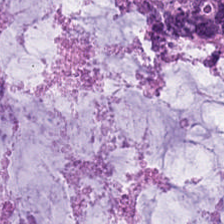Hematoxylin and eosin. Tissue = mucin.
